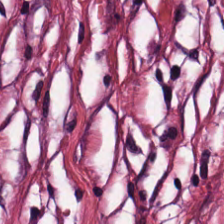Brightfield; hematoxylin and eosin. Tissue class = tumor-associated stroma.
